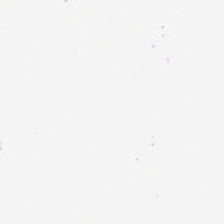Finding — no tissue.
